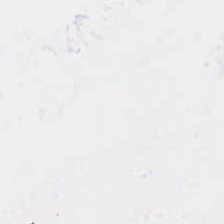Brightfield; hematoxylin and eosin; FFPE — Q: What is shown in this field?
A: It is background.
